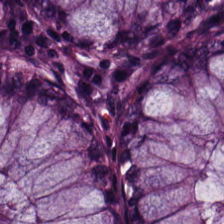Impression — benign colonic mucosa.
